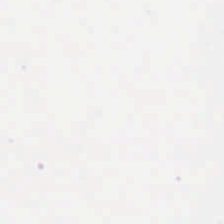H&E stain — No tissue.
